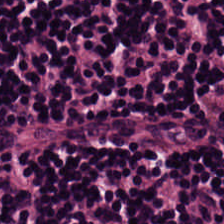Hematoxylin-and-eosin stained section. Tissue type: lymphocytic infiltrate.
